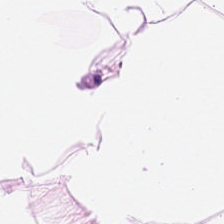Hematoxylin and eosin; brightfield microscopy — Q: Identify the tissue.
A: This is adipose tissue.
